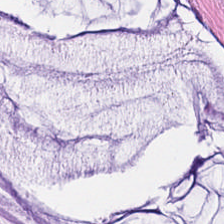H&E stain; formalin-fixed paraffin-embedded section.
Tissue = mucin.
